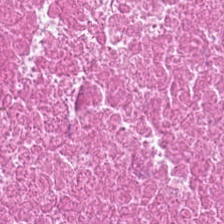Q: What is shown here?
A: This is cellular debris.
